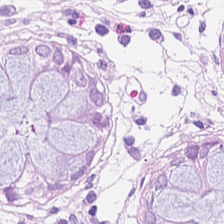Predominant tissue = non-neoplastic colon mucosa.
